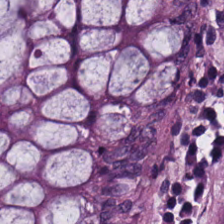Tissue type: normal colon mucosa.
